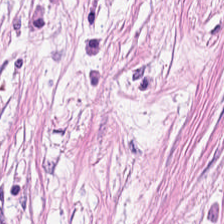H&E. Finding — tumor-associated stroma.
